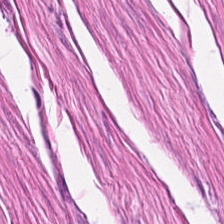Stain: H&E stain.
Tile size: 224×224 px tile.
Tissue class: smooth-muscle tissue.
